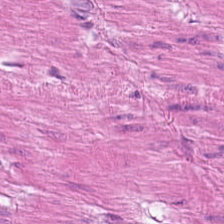H&E-stained tissue section. Brightfield. Formalin-fixed paraffin-embedded section. Tissue type: smooth-muscle tissue.
